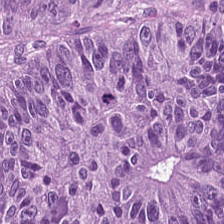Tissue: malignant epithelium.
